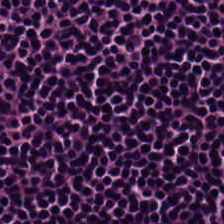Hematoxylin-and-eosin stained section — The classification is lymphoid infiltrate.
